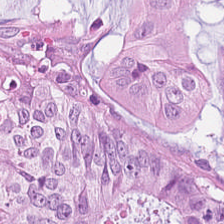Hematoxylin-and-eosin stained section.
The predominant tissue is tumor epithelium.
